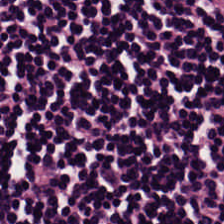0.5 µm/px · H&E — This field is lymphoid infiltrate.
